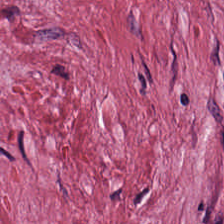Whole-slide-image patch; H&E stain.
Finding — desmoplastic stroma.
